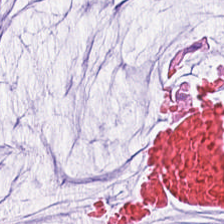H&E — Q: What tissue is shown?
A: The field shows extracellular mucin.
